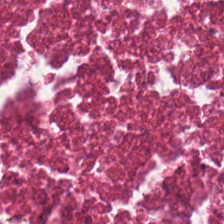224×224 px patch. Brightfield. H&E. Q: What does this patch show?
A: It is necrotic debris.
